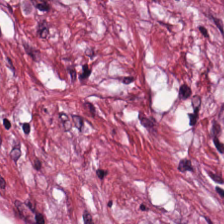Stain: H&E stain.
Tissue type: tumor stroma.
